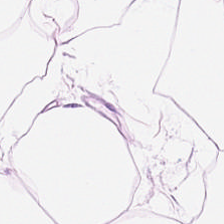Hematoxylin and eosin.
Predominant tissue — fat tissue.
